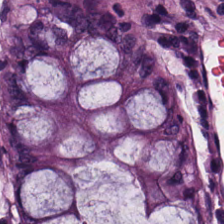H&E.
{"tissue_type": "normal colonic mucosa"}
